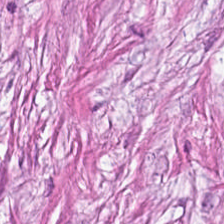Stain: H&E-stained tissue section.
Resolution: 0.5 µm per pixel.
Classification: desmoplastic stroma.
